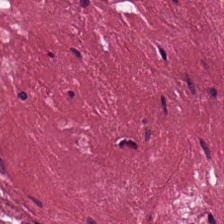224×224 pixel tile. FFPE tissue section. Hematoxylin and eosin.
The tissue here is desmoplastic stroma.
